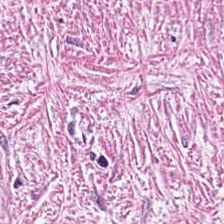H&E.
The predominant tissue is tumor stroma.
